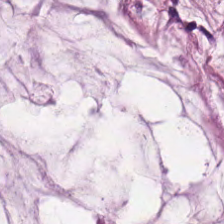Formalin-fixed paraffin-embedded section. H&E.
Predominantly extracellular mucin.
